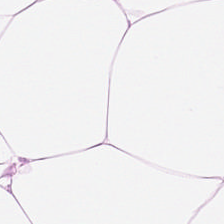Tissue type: adipocytes.
